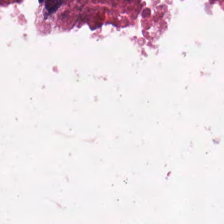H&E-stained section; the field shows cellular debris.
